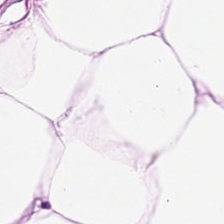H&E; 0.5 µm per pixel.
Q: What is shown in this field?
A: This is adipocytes.
